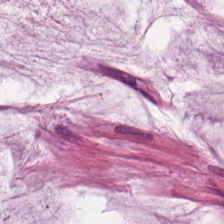0.5 µm per pixel; brightfield microscopy; hematoxylin and eosin — Classification = mucin.
